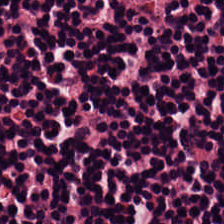The tissue is lymphocyte aggregate.
